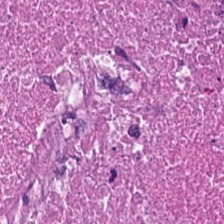Hematoxylin-and-eosin stained section. The classification is cellular debris.
